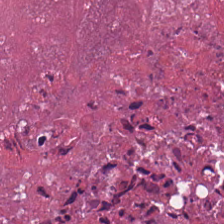Formalin-fixed paraffin-embedded section. 224×224 px tile. H&E — Finding — cellular debris.
